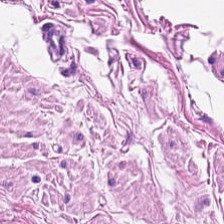The predominant tissue is smooth muscle.
